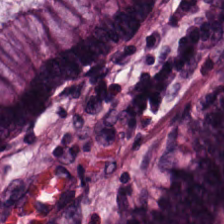H&E-stained tissue section; whole-slide-image patch; 0.5 µm/px.
Finding — benign colonic mucosa.
